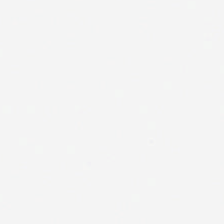H&E.
{"content": "empty background"}
